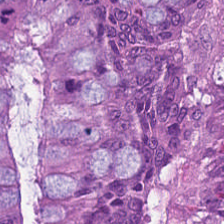H&E — Colorectal adenocarcinoma.
